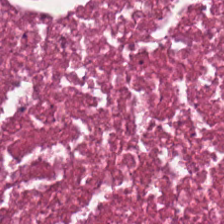Hematoxylin and eosin. Tissue = necrotic debris.
